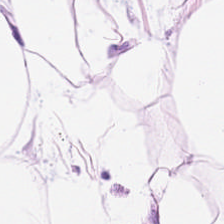0.5 µm/px; brightfield; H&E — Impression → adipose tissue.
